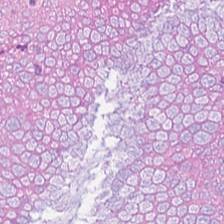224×224 px patch · H&E-stained tissue section.
Q: What type of tissue is this?
A: It is colorectal adenocarcinoma.
